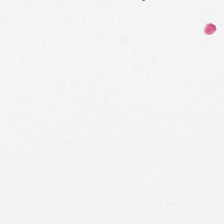Classification = empty background.
